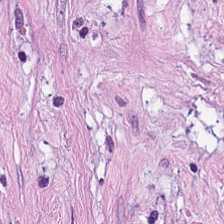20× equivalent magnification · 224×224 px patch · H&E stain. The predominant tissue is tumor-associated stroma.
